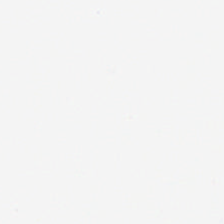FFPE tissue section · H&E stain.
This patch shows no tissue.
